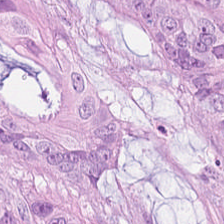224×224 pixel tile; H&E.
This patch shows adenocarcinoma.
